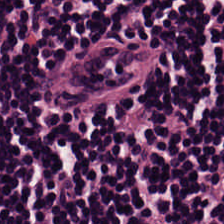Q: What tissue is shown?
A: It is lymphocytes.
